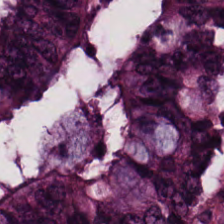Classification: colorectal adenocarcinoma epithelium.
